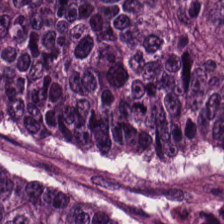Stain: H&E.
Predominant tissue: adenocarcinoma.
